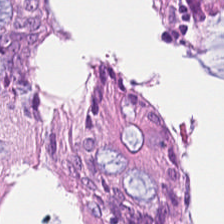Finding — normal colon mucosa.
